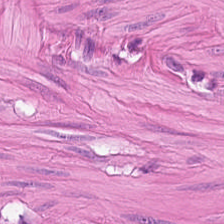Histology — smooth muscle.
